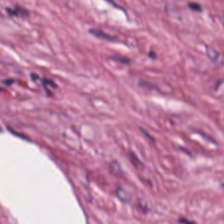Whole-slide-image patch; hematoxylin-and-eosin stained section; 224×224 px patch. Predominant tissue: tumor-associated stroma.
